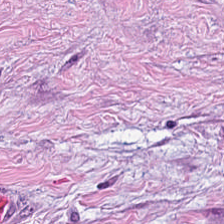Q: What tissue is shown?
A: The field shows tumor-associated stroma.
